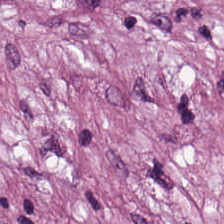H&E — This field is cancer-associated stroma.
